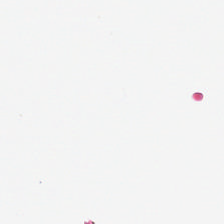20× equivalent magnification; H&E-stained tissue section; brightfield microscopy. This patch shows empty background.
